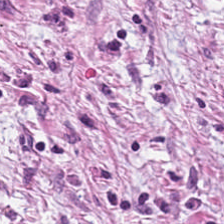H&E-stained tissue section. Formalin-fixed paraffin-embedded section. Brightfield microscopy — This field is desmoplastic stroma.
